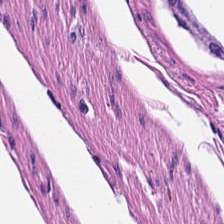Hematoxylin and eosin.
Muscularis.
